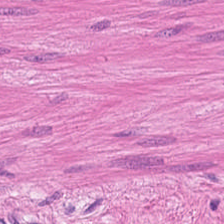H&E. 224×224 px tile — The tissue here is muscularis.
